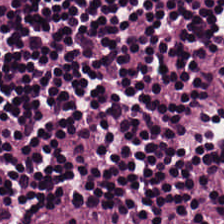Hematoxylin and eosin.
Tissue — lymphocytic infiltrate.
